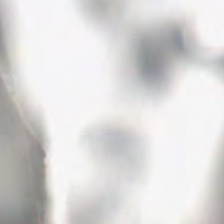This field is background (no tissue).
